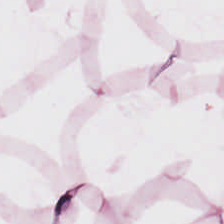224×224 px patch. WSI patch. H&E.
Predominant tissue — adipose.
